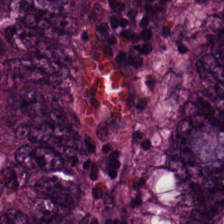H&E. Predominant tissue: colorectal adenocarcinoma epithelium.
